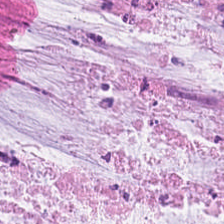H&E stain. This patch shows mucin.
